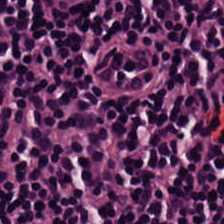The classification is lymphocyte aggregate.
